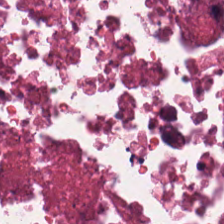H&E-stained tissue section — Histology — necrotic debris.
